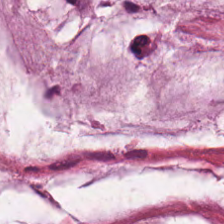H&E. Mucus.
